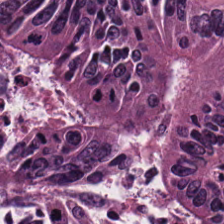Hematoxylin-and-eosin stained section — This field is colorectal adenocarcinoma epithelium.
